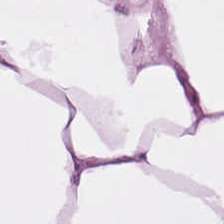Hematoxylin and eosin · FFPE tissue section — Tissue type = adipose tissue.
